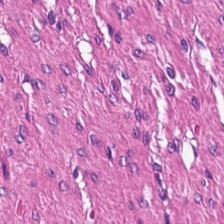Hematoxylin-and-eosin stained section. WSI patch. 224×224 px patch — Q: What is shown here?
A: The field shows smooth muscle.
